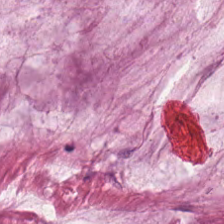Hematoxylin and eosin — Q: What is shown here?
A: Mucus.
